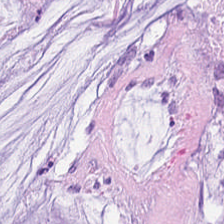224×224 px tile; H&E.
The predominant tissue is extracellular mucin.
